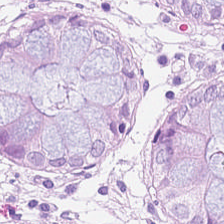H&E. Showing normal colon mucosa.
